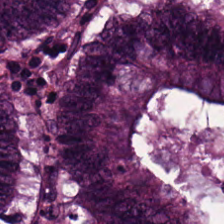H&E — Q: What is shown here?
A: It is tumor epithelium.
